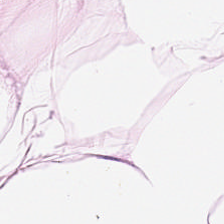224×224 px patch; H&E stain.
Adipose.
